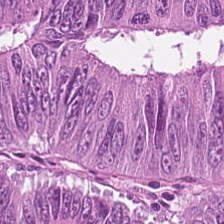Hematoxylin-and-eosin stained section — Predominant tissue: colorectal adenocarcinoma.
